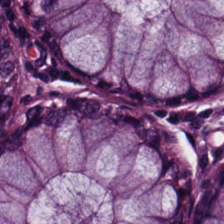Hematoxylin and eosin · 224×224 px patch — The tissue here is normal colon mucosa.
